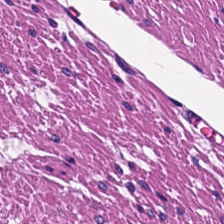WSI patch; hematoxylin-and-eosin stained section.
Smooth muscle.
